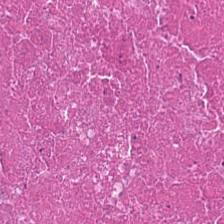H&E-stained tissue section. Tissue: cellular debris.
